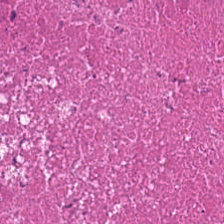Stain: H&E-stained tissue section.
Classification: cellular debris.
